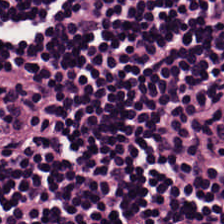Histology — lymphoid infiltrate.
